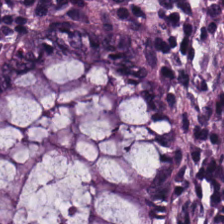Hematoxylin and eosin.
Showing normal colon mucosa.
